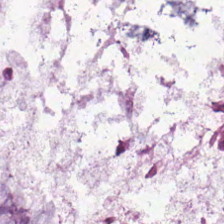H&E-stained tissue section — Q: What tissue type is shown here?
A: The field shows extracellular mucin.
